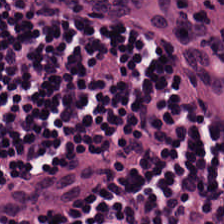H&E; brightfield microscopy — Finding → lymphocytic infiltrate.
